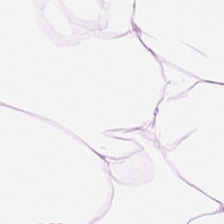Stain: H&E stain.
Preparation: FFPE.
Resolution: 0.5 microns per pixel.
Tissue type: adipocytes.
